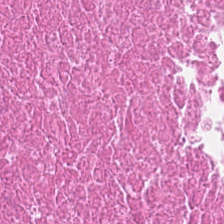Hematoxylin-and-eosin stained section; 224×224 px tile; FFPE tissue section — Impression → necrotic debris.
